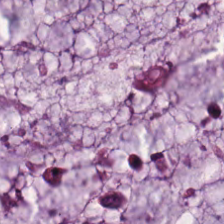Hematoxylin and eosin — Showing mucin.
